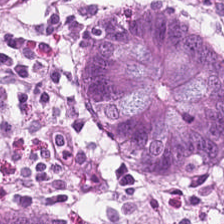0.5 microns per pixel. Hematoxylin and eosin. 224×224 pixel tile — The predominant tissue is normal colon mucosa.
